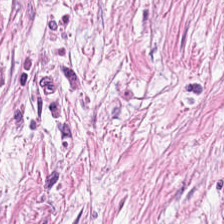0.5 µm/px; H&E stain. The classification is desmoplastic stroma.
